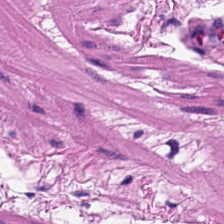Hematoxylin-and-eosin section: smooth-muscle tissue.
